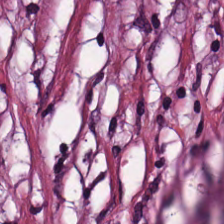Showing desmoplastic stroma.
